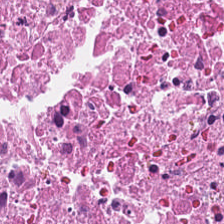H&E-stained tissue section. Q: What does this patch show?
A: The field shows cellular debris.
